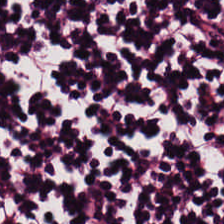Formalin-fixed paraffin-embedded section; H&E stain — Q: What is the predominant tissue type?
A: Lymphocytic infiltrate.
